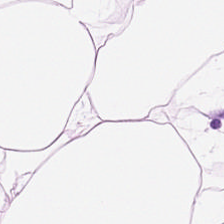{"tissue_type": "adipose"}
